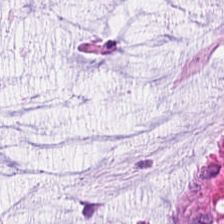Hematoxylin-and-eosin stained section — Predominant tissue: mucin.
